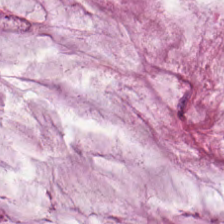H&E-stained tissue section showing mucin.
